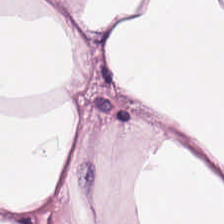H&E-stained section; the field shows adipose tissue.
